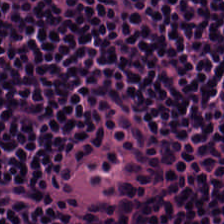Q: What is the predominant tissue type?
A: This is lymphocytes.
